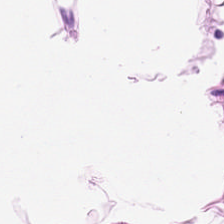Hematoxylin and eosin. 0.5 µm per pixel. Histology — adipose tissue.
